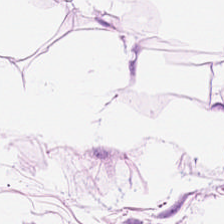H&E. 0.5 µm/px. 224×224 px tile. This patch shows fat tissue.
